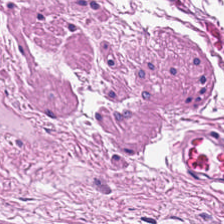Hematoxylin and eosin. FFPE. Q: What is shown in this field?
A: This is smooth muscle.
